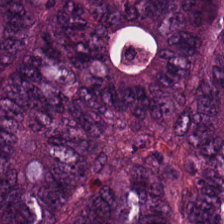H&E-stained tissue section.
Tissue type: colorectal adenocarcinoma epithelium.
